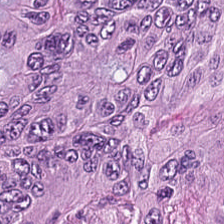H&E; 20× equivalent magnification.
This patch shows tumor epithelium.
